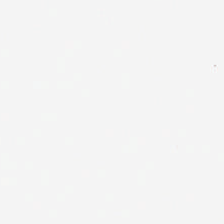Field content — empty background.
